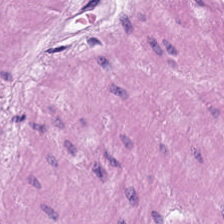FFPE tissue section · hematoxylin-and-eosin stained section.
Predominant tissue — smooth muscle.
